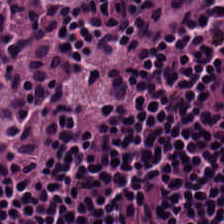Stain: H&E-stained tissue section.
Predominant tissue: lymphoid infiltrate.
